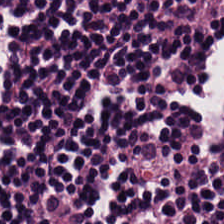Stain: hematoxylin and eosin.
Predominant tissue: lymphocytes.
